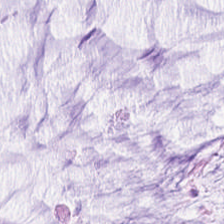H&E-stained tissue section showing mucin.
